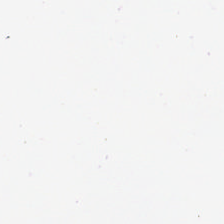H&E stain. Classification: no tissue.
